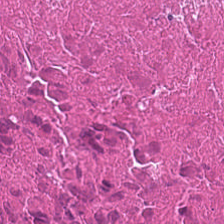H&E · FFPE · 0.5 µm per pixel.
The tissue class is cellular debris.
